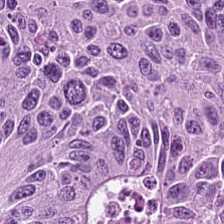Stain: H&E.
Tile size: 224×224 px patch.
Classification: colorectal adenocarcinoma.
